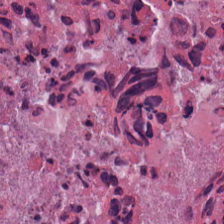H&E-stained tissue section. The predominant tissue is debris.
